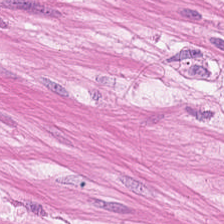H&E. Predominant tissue: muscularis.
